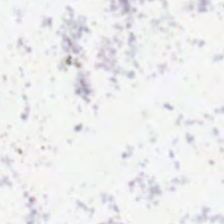Classification = no tissue.
